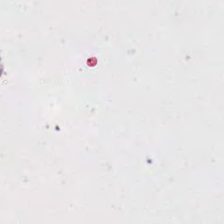H&E stain · 224×224 px tile · FFPE tissue section.
Classification — background (no tissue).
